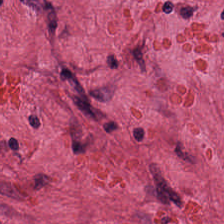Hematoxylin-and-eosin stained section. Predominantly cancer-associated stroma.
